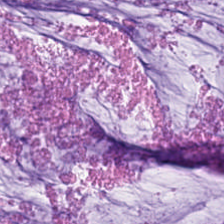Q: What tissue type is shown here?
A: This is mucus.
